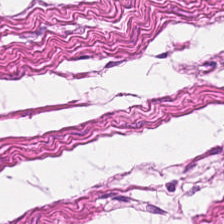Hematoxylin and eosin. Q: Classify this patch.
A: This is smooth-muscle tissue.
